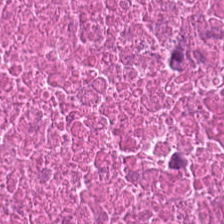20× equivalent magnification; hematoxylin and eosin.
Showing necrotic debris.
